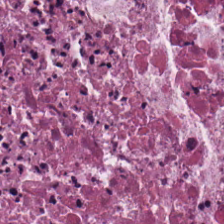H&E-stained tissue section — Q: What type of tissue is this?
A: This is cellular debris.
